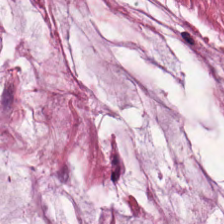Hematoxylin and eosin — Histology — mucus.
